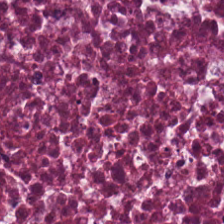Hematoxylin and eosin.
Finding — necrotic debris.
